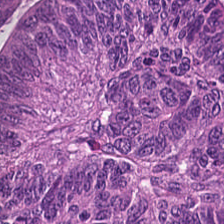H&E.
Q: What tissue type is shown here?
A: The field shows adenocarcinoma.
